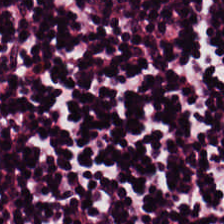Tissue class = lymphocyte aggregate.
